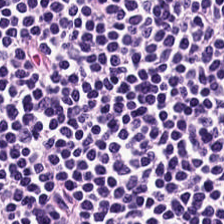H&E — lymphoid infiltrate.
